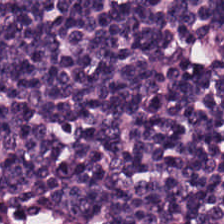The tissue here is lymphoid infiltrate.
